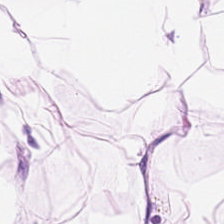Q: Classify this patch.
A: This is adipose.
